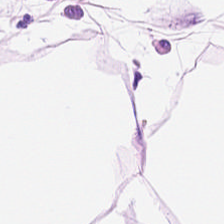224×224 pixel tile; H&E stain; 0.5 µm/px. The tissue class is fat tissue.
